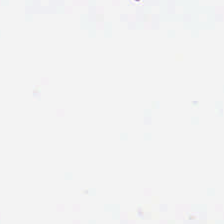Stain: H&E.
Classification: background.
